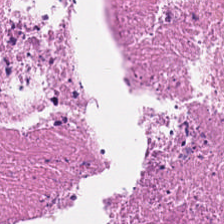Hematoxylin-and-eosin stained section — The predominant tissue is debris.
